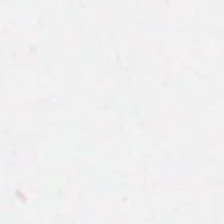H&E-stained tissue section; FFPE tissue section; whole-slide-image patch — This patch shows empty background.
